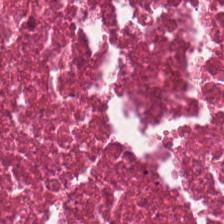Stain: hematoxylin and eosin.
Preparation: FFPE.
Predominant tissue: debris.
